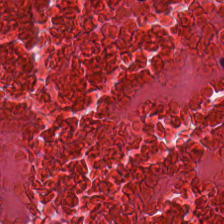H&E stain — This patch shows cellular debris.
